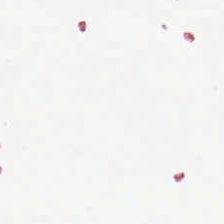Finding → background.
